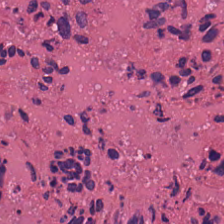Showing cellular debris.
